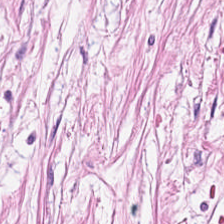Stain: hematoxylin-and-eosin stained section.
Tissue: desmoplastic stroma.
